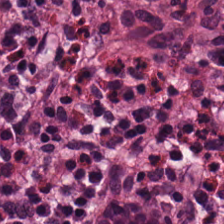H&E-stained tissue section. 0.5 µm per pixel. Brightfield microscopy — Classification = normal colonic mucosa.
